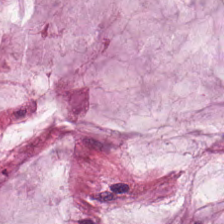Stain: H&E.
Tissue: extracellular mucin.
